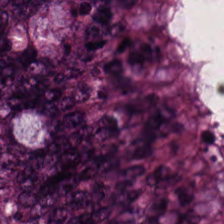224×224 pixel tile · H&E stain.
Tissue class — adenocarcinoma.
